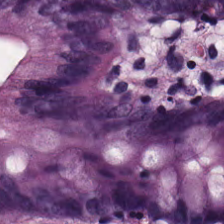Formalin-fixed paraffin-embedded section; H&E-stained tissue section. Q: What is shown in this field?
A: The field shows normal colonic mucosa.
